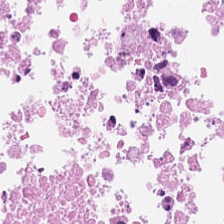H&E-stained tissue section · 0.5 µm per pixel · 224×224 px patch.
The predominant tissue is debris.
